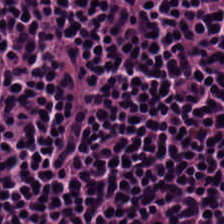The predominant tissue is lymphocyte aggregate.
